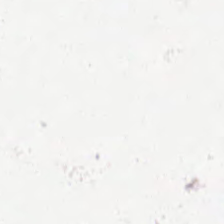Hematoxylin-and-eosin stained section.
Classification = background.
